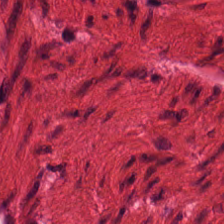H&E — Finding — smooth muscle.
